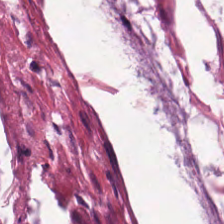H&E-stained tissue section. The predominant tissue is extracellular mucin.
